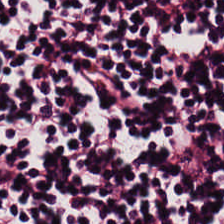H&E — lymphocytes.
